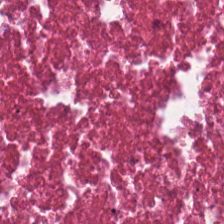Stain: H&E stain.
Tissue class: cellular debris.
